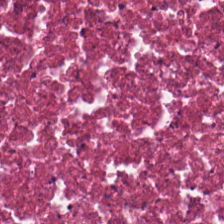This patch shows necrotic debris.
